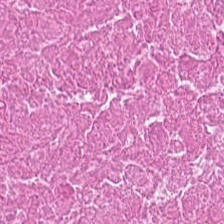Hematoxylin and eosin · formalin-fixed paraffin-embedded section. Tissue class — cellular debris.
